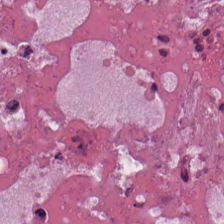H&E stain; formalin-fixed paraffin-embedded section. Q: Classify this patch.
A: Cellular debris.
